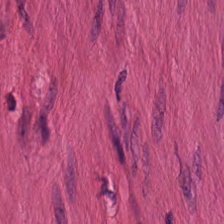Hematoxylin-and-eosin stained section. The predominant tissue is muscularis.
